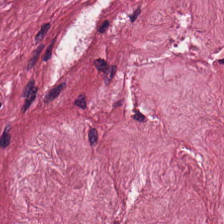WSI patch. FFPE tissue section. H&E stain — The predominant tissue is tumor-associated stroma.
